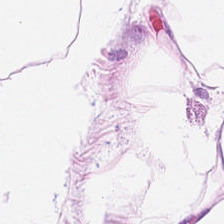H&E-stained tissue section. This field is adipose.
